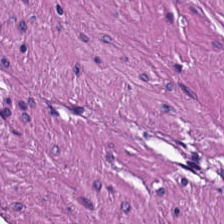Hematoxylin-and-eosin section: smooth-muscle tissue.
